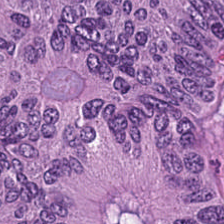Brightfield. 0.5 µm per pixel. H&E-stained tissue section — Finding — adenocarcinoma.
